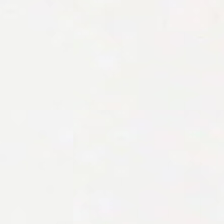Hematoxylin and eosin · FFPE tissue section. Impression — background.
